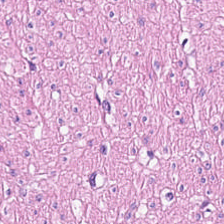Stain: H&E stain.
Preparation: FFPE.
Predominant tissue: muscularis.
